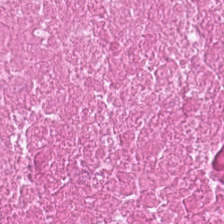H&E stain. 224×224 px tile. {"tissue_type": "debris"}
